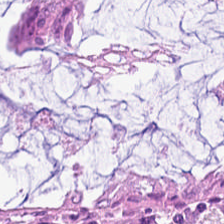Stain: H&E stain.
Classification: benign colonic mucosa.
